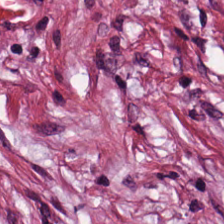Hematoxylin and eosin. Q: What tissue type is shown here?
A: It is cancer-associated stroma.
